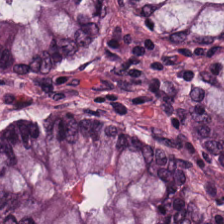This field is normal colonic mucosa.
